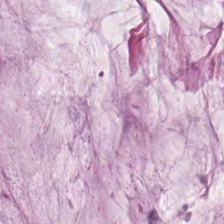0.5 microns per pixel; whole-slide-image patch; H&E-stained tissue section. Q: What tissue is shown?
A: This is mucin.
